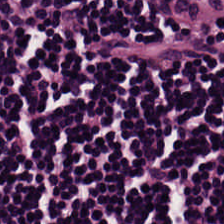Hematoxylin-and-eosin stained section. Showing lymphoid infiltrate.
